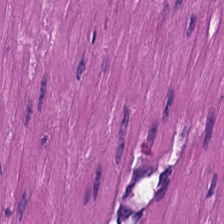Q: What type of tissue is this?
A: The field shows smooth muscle.
